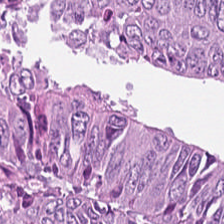224×224 pixel tile; hematoxylin-and-eosin stained section. Predominant tissue: colorectal adenocarcinoma epithelium.
